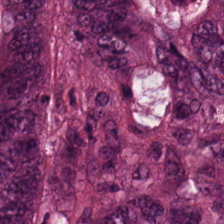H&E-stained tissue section.
The tissue here is tumor epithelium.
